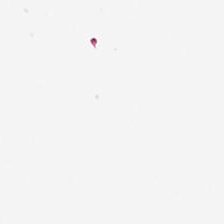No tissue present; background only.
